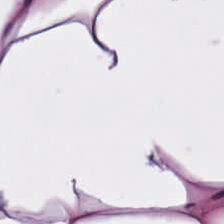Stain: H&E.
Tissue class: adipocytes.
